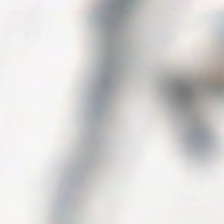Hematoxylin-and-eosin stained section. Histology — empty background.
